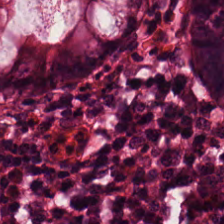H&E-stained tissue section · 224×224 px tile. Impression — benign colonic mucosa.
